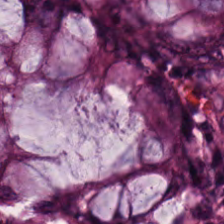Q: What is the predominant tissue type?
A: Normal colonic mucosa.
